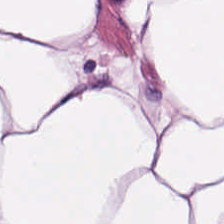Tissue class: adipocytes.
